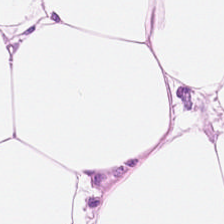Q: What is the predominant tissue type?
A: This is fat tissue.
